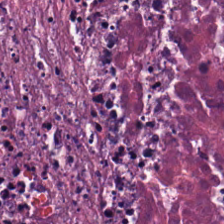Impression — cellular debris.
